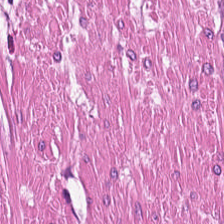Brightfield microscopy; 224×224 px tile; hematoxylin and eosin.
Q: What tissue type is shown here?
A: It is smooth-muscle tissue.
